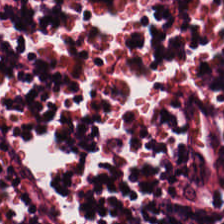Stain: H&E-stained tissue section.
Predominant tissue: lymphocyte aggregate.
